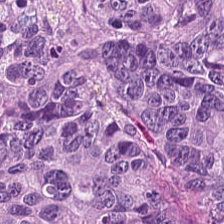H&E. Predominantly colorectal adenocarcinoma epithelium.
